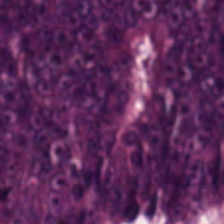WSI patch. H&E stain.
This patch shows colorectal adenocarcinoma.
